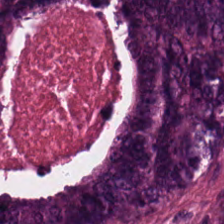Stain: hematoxylin-and-eosin stained section.
Tissue: colorectal adenocarcinoma.
